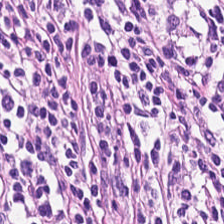Stain: H&E-stained tissue section.
Tissue type: lymphocytes.
